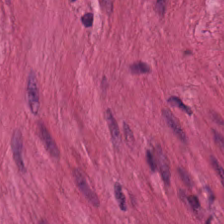H&E.
Tissue — smooth muscle.
